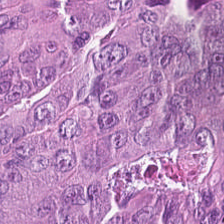Stain: hematoxylin and eosin.
Classification: tumor epithelium.
